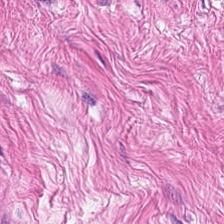Hematoxylin-and-eosin stained section · 224×224 px tile — The tissue class is muscularis.
